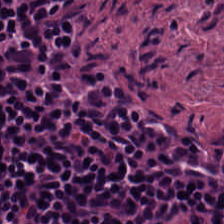224×224 px tile; hematoxylin-and-eosin stained section; brightfield.
This field is lymphocytic infiltrate.
